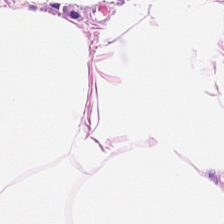Tissue type — adipocytes.
